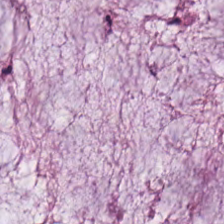H&E-stained tissue section · brightfield · 0.5 µm per pixel — Finding — mucin.
